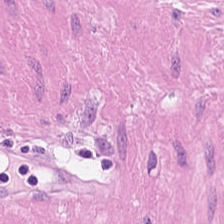H&E-stained tissue section — Tissue class = smooth muscle.
